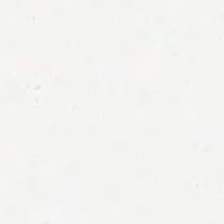This patch shows background.
